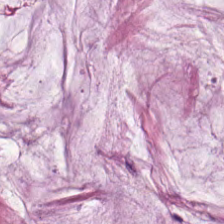Showing extracellular mucin.
